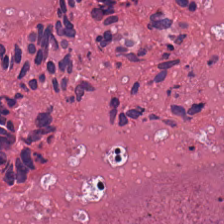H&E-stained tissue section; 224×224 px patch; FFPE tissue section. The classification is cellular debris.
